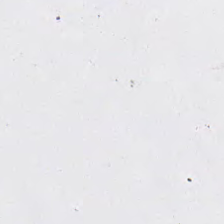H&E-stained tissue section; 224×224 px patch. Finding → empty background.
